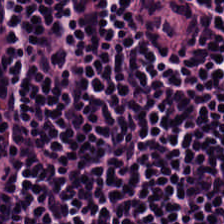Formalin-fixed paraffin-embedded section. H&E-stained tissue section. The tissue class is lymphocytic infiltrate.
